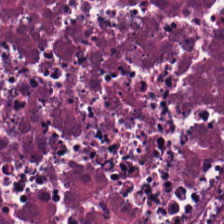Tissue = debris.
